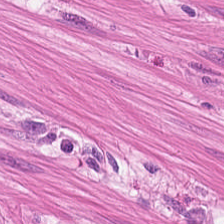WSI patch; FFPE; hematoxylin-and-eosin stained section.
Smooth-muscle tissue.
